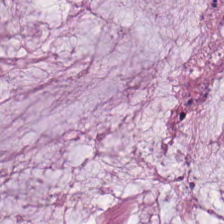224×224 px patch. Formalin-fixed paraffin-embedded section. Hematoxylin-and-eosin stained section — The predominant tissue is extracellular mucin.
